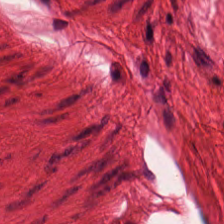Hematoxylin-and-eosin stained section. 224×224 px tile. The tissue is smooth-muscle tissue.
